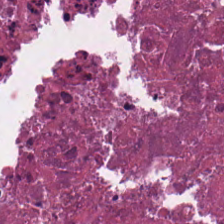H&E stain.
{"tissue_type": "debris"}
